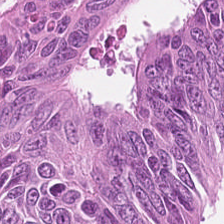WSI patch. H&E.
Q: What type of tissue is this?
A: Colorectal adenocarcinoma epithelium.
